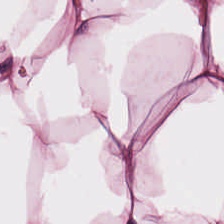224×224 px patch. H&E stain. 0.5 microns per pixel. Fat tissue.
